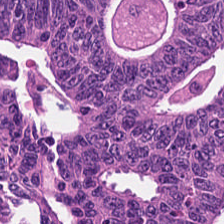Classification: tumor epithelium.
